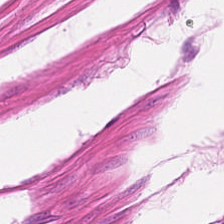Q: What tissue type is shown here?
A: The field shows muscularis.
